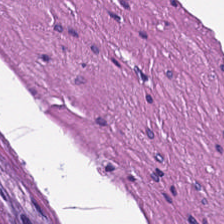0.5 microns per pixel. H&E stain. Predominantly muscularis.
